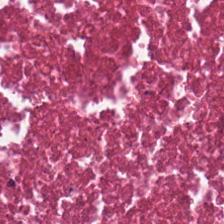Stain: H&E.
Tissue: debris.
